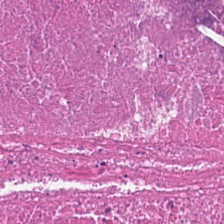Hematoxylin-and-eosin stained section — Showing debris.
